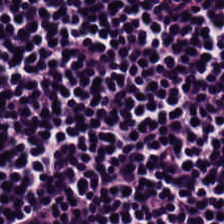H&E stain; 20× equivalent magnification — The predominant tissue is lymphocytes.
